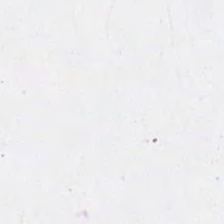Stain: H&E.
Resolution: 20× equivalent magnification.
Field content: background.
